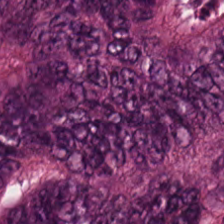Hematoxylin-and-eosin stained section. Mucin.
